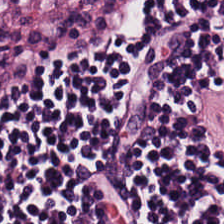Showing lymphoid infiltrate.
